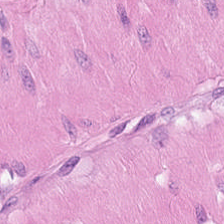WSI patch; H&E. Impression → smooth muscle.
